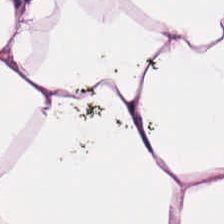H&E. Q: What is shown in this field?
A: This is adipose tissue.
